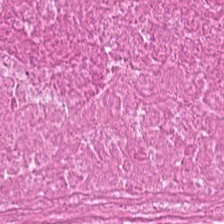H&E-stained tissue section; FFPE tissue section. Tissue type = necrotic debris.
